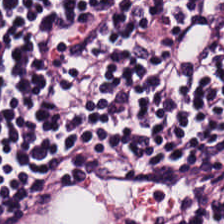Hematoxylin-and-eosin stained section — Tissue: lymphoid infiltrate.
